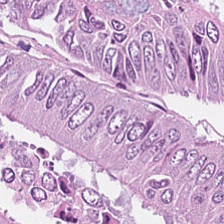H&E stain.
The predominant tissue is colorectal adenocarcinoma epithelium.
